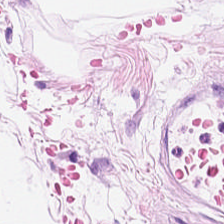Brightfield. H&E.
The predominant tissue is fat tissue.
